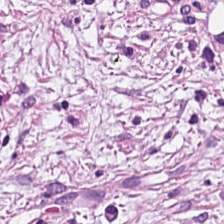0.5 µm/px · hematoxylin-and-eosin stained section · 224×224 px patch — Q: What does this patch show?
A: The field shows tumor stroma.
